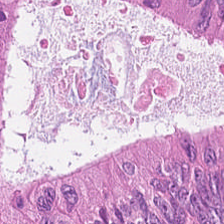Stain: H&E.
Resolution: 0.5 µm/px.
Tissue: colorectal adenocarcinoma.
